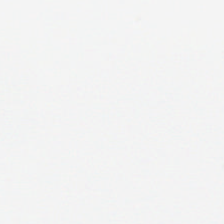Hematoxylin and eosin — Background (no tissue).
